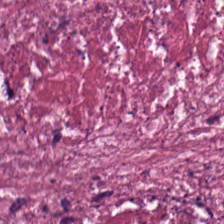Hematoxylin-and-eosin stained section; formalin-fixed paraffin-embedded section.
Q: What does this patch show?
A: Necrotic debris.
